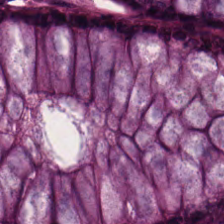H&E — non-neoplastic colon mucosa.
